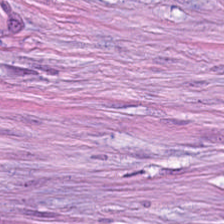H&E stain — Q: What is shown here?
A: This is desmoplastic stroma.
